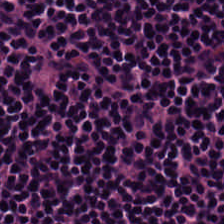Q: What type of tissue is this?
A: The field shows lymphocyte aggregate.
